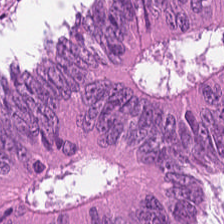Hematoxylin and eosin.
Q: What is the predominant tissue type?
A: This is malignant epithelium.
